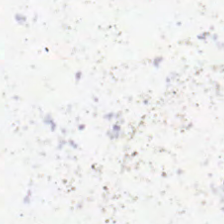224×224 px patch; H&E stain. No tissue present; background only.
